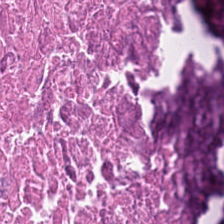H&E.
Q: What tissue type is shown here?
A: This is necrotic debris.
